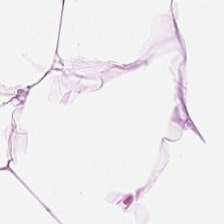0.5 µm per pixel. 224×224 px patch. Hematoxylin-and-eosin stained section.
Finding → adipose.
